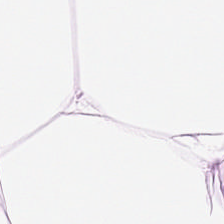H&E.
Histology — adipose tissue.
